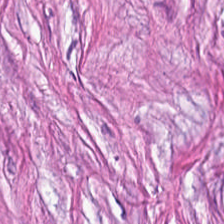224×224 px tile; H&E-stained tissue section — Impression — desmoplastic stroma.
